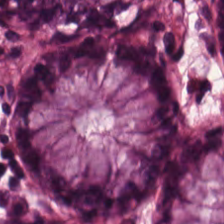Stain: H&E.
Predominant tissue: non-neoplastic colon mucosa.
